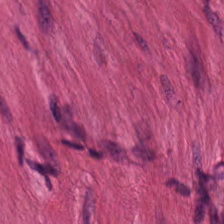H&E. This field is smooth muscle.
